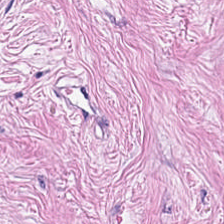Brightfield; hematoxylin and eosin.
Predominant tissue — cancer-associated stroma.
